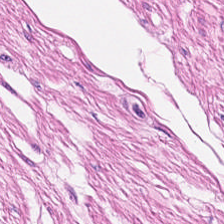0.5 µm per pixel. H&E stain — This patch shows muscularis.
